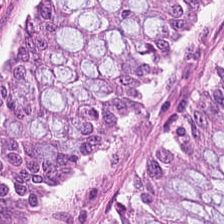Formalin-fixed paraffin-embedded section · hematoxylin-and-eosin stained section · WSI patch.
Normal colonic mucosa.
